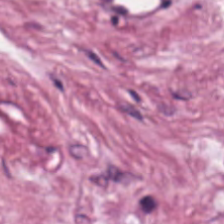H&E stain — {"tissue_type": "tumor-associated stroma"}
